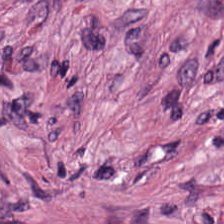H&E; 224×224 px tile; 0.5 µm/px. Tissue: tumor-associated stroma.
